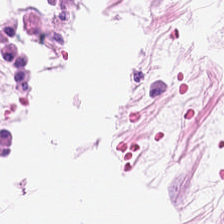Stain: H&E stain.
Tissue class: adipose.
